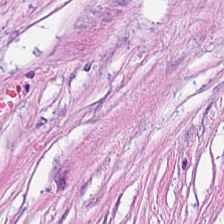H&E stain — This field is desmoplastic stroma.
